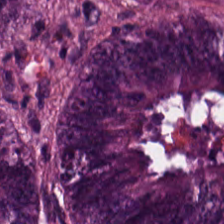H&E stain. Q: What is the predominant tissue type?
A: It is adenocarcinoma.
